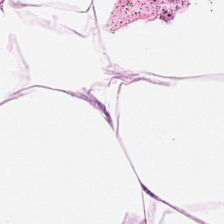Hematoxylin and eosin — Predominant tissue = adipose tissue.
